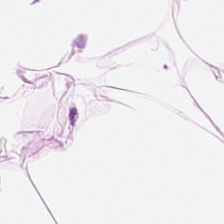The predominant tissue is adipocytes.
